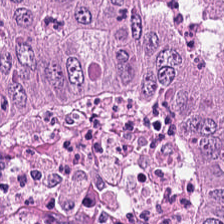H&E stain.
The tissue here is adenocarcinoma.
